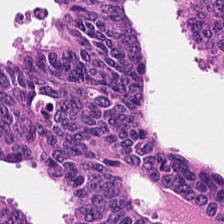H&E-stained tissue section.
The tissue here is tumor epithelium.
